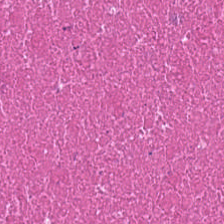Hematoxylin-and-eosin stained section — Tissue class: cellular debris.
